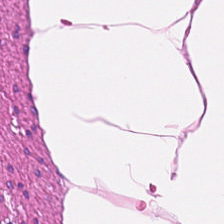Hematoxylin and eosin. FFPE.
Predominantly smooth muscle.
